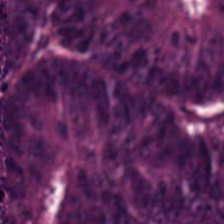224×224 px tile; FFPE tissue section; hematoxylin-and-eosin stained section — Finding — malignant epithelium.
